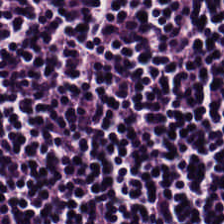Lymphocyte aggregate.
